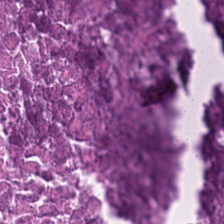H&E-stained tissue section showing necrotic debris.
